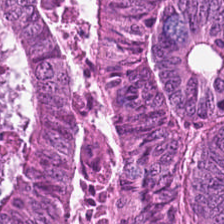Q: What is the predominant tissue type?
A: The field shows colorectal adenocarcinoma.
